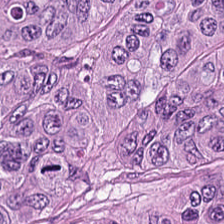Tissue type = colorectal adenocarcinoma.
